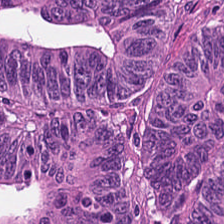H&E. The predominant tissue is tumor epithelium.
